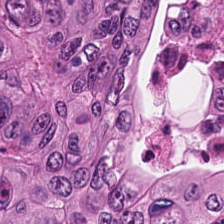Hematoxylin-and-eosin stained section. Classification = adenocarcinoma.
